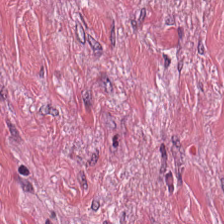Histology — tumor stroma.
